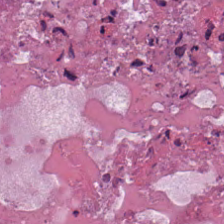H&E. The tissue is necrotic debris.
